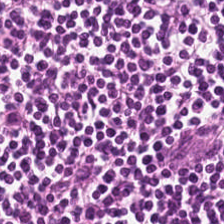Hematoxylin-and-eosin stained section.
Q: What is the predominant tissue type?
A: It is lymphocytic infiltrate.
